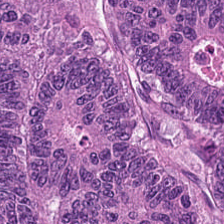Stain: H&E-stained tissue section.
Predominant tissue: malignant epithelium.
